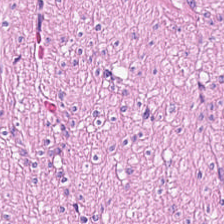Stain: H&E.
Tissue class: smooth muscle.
